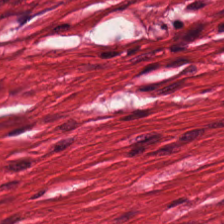Hematoxylin-and-eosin stained section. Brightfield microscopy.
{"tissue_type": "muscularis"}
